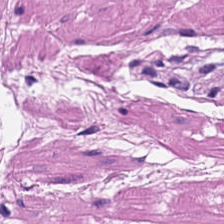224×224 px patch; hematoxylin and eosin.
Predominantly smooth muscle.
